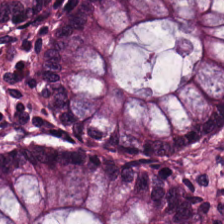Brightfield; hematoxylin-and-eosin stained section; 0.5 µm per pixel. Predominantly normal colon mucosa.
